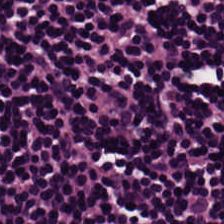H&E-stained tissue section.
Lymphocytes.
